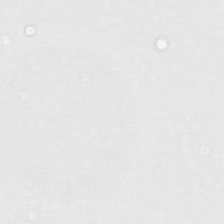Stain: H&E stain.
Tile size: 224×224 px tile.
Preparation: formalin-fixed paraffin-embedded section.
Content: background (no tissue).
